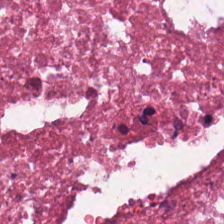{"tissue_type": "cellular debris"}
